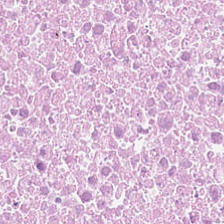Finding → debris.
